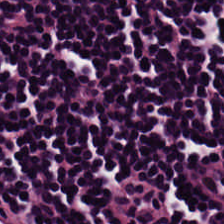Showing lymphocytic infiltrate.
